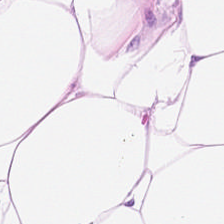Hematoxylin-and-eosin stained section. Tissue type = adipocytes.
